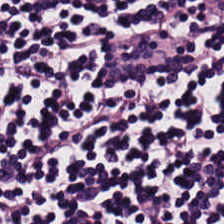Hematoxylin-and-eosin stained section — The predominant tissue is lymphocyte aggregate.
